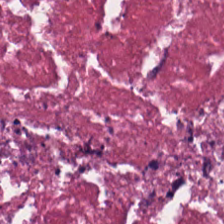Tissue class: cellular debris.
